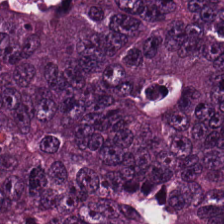Showing adenocarcinoma.
